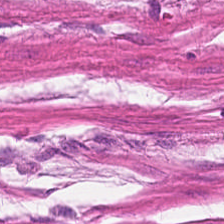Formalin-fixed paraffin-embedded section · brightfield microscopy · H&E-stained tissue section — This patch shows smooth muscle.
